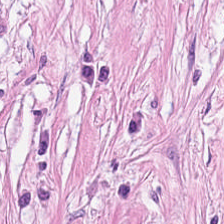H&E stain — Tissue class = tumor-associated stroma.
